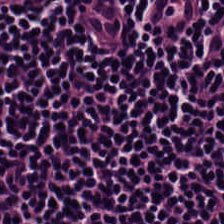FFPE tissue section; hematoxylin-and-eosin stained section.
Predominantly lymphocyte aggregate.
